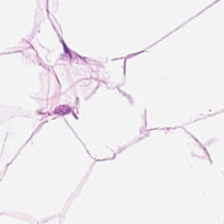Predominantly adipose tissue.
